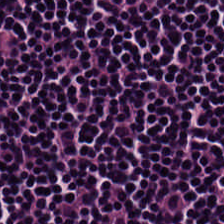224×224 px patch · H&E-stained tissue section. Finding — lymphocytic infiltrate.
